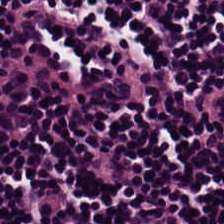H&E stain. This patch shows lymphocyte aggregate.
